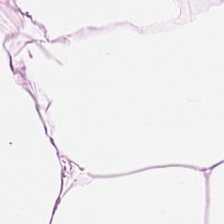H&E-stained tissue section. Whole-slide-image patch. 224×224 px tile. Predominantly fat tissue.
